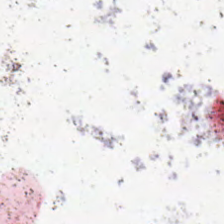Stain: H&E-stained tissue section.
Preparation: formalin-fixed paraffin-embedded section.
Acquisition: brightfield microscopy.
Field content: no tissue.
